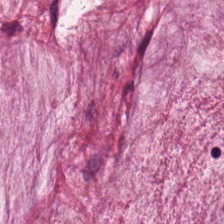Stain: hematoxylin and eosin.
Predominant tissue: extracellular mucin.
